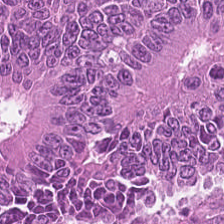0.5 µm/px · H&E stain.
Impression — malignant epithelium.
